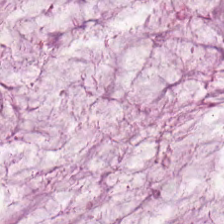H&E. The classification is mucin.
